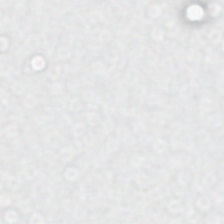H&E · FFPE tissue section — Content = background (no tissue).
